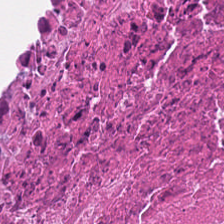Hematoxylin-and-eosin stained section — Q: What tissue type is shown here?
A: This is necrotic debris.
